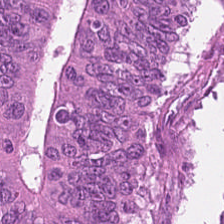20× equivalent magnification · hematoxylin and eosin.
Predominantly colorectal adenocarcinoma.
